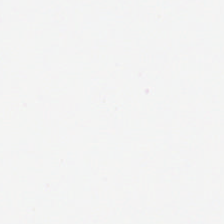FFPE; whole-slide-image patch; H&E stain — Q: What is shown in this field?
A: No tissue.
